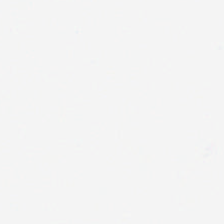H&E-stained tissue section.
Background — no tissue in this field.
